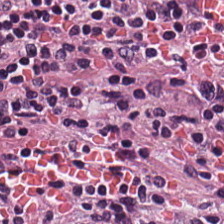Stain: hematoxylin-and-eosin stained section.
Resolution: 20× equivalent magnification.
Acquisition: WSI patch.
Tissue: lymphoid infiltrate.
